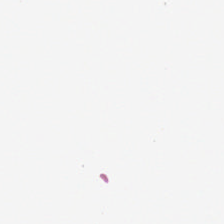Hematoxylin and eosin · whole-slide-image patch · 224×224 pixel tile.
Histology → background.
